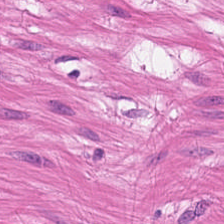H&E stain. Histology → smooth-muscle tissue.
